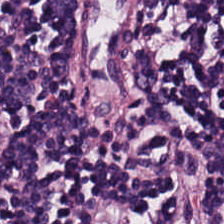H&E stain — Impression — lymphocytic infiltrate.
